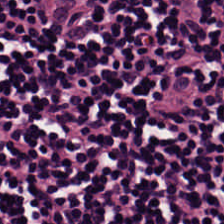H&E-stained tissue section — Predominant tissue: lymphoid infiltrate.
